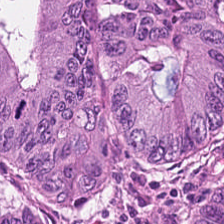The classification is tumor epithelium.
